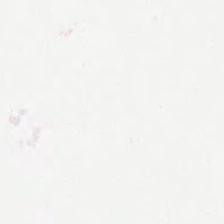Content = background.
